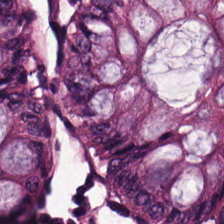Tissue type — normal colon mucosa.
